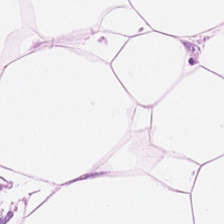H&E. Adipose.
